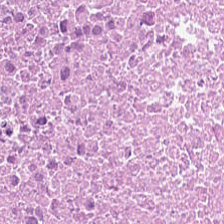0.5 µm/px; H&E stain; whole-slide-image patch. Q: What is shown in this field?
A: The field shows necrotic debris.
